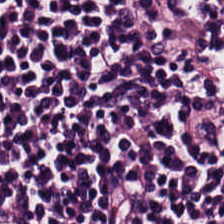H&E stain · FFPE · brightfield.
The predominant tissue is lymphocyte aggregate.
